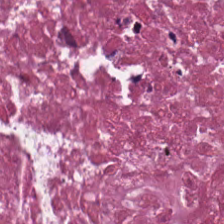Whole-slide-image patch; hematoxylin-and-eosin stained section; 224×224 pixel tile — The tissue type is debris.
